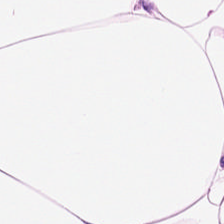Hematoxylin and eosin.
{"tissue_type": "fat tissue"}
